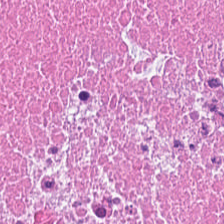Hematoxylin-and-eosin stained section. 0.5 µm per pixel. Brightfield. Q: What type of tissue is this?
A: Cellular debris.
